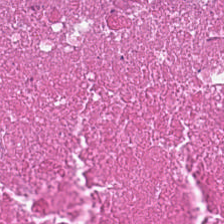H&E-stained tissue section. 224×224 px tile. FFPE. The tissue here is cellular debris.
